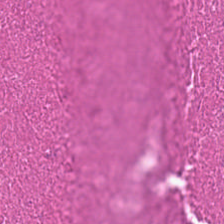H&E stain.
Predominantly debris.
